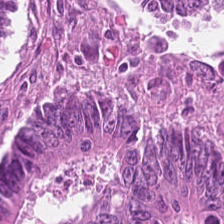H&E — malignant epithelium.
